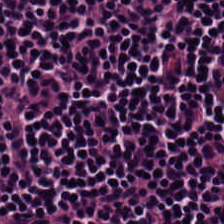H&E.
Showing lymphocytes.
